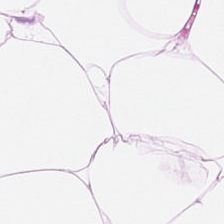Hematoxylin and eosin — Histology → fat tissue.
